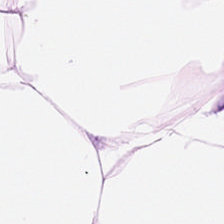Hematoxylin-and-eosin stained section — Tissue class = adipocytes.
